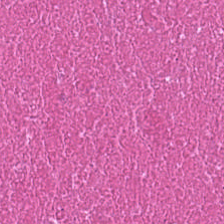Brightfield. H&E-stained tissue section. 224×224 px tile — Tissue type — debris.
